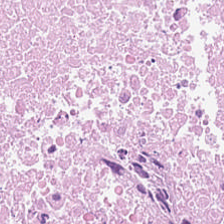H&E-stained tissue section; formalin-fixed paraffin-embedded section — The predominant tissue is cellular debris.
